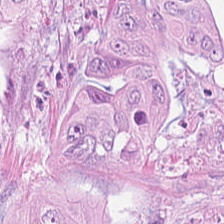H&E-stained tissue section — The tissue here is malignant epithelium.
